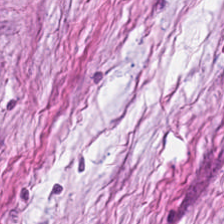Stain: H&E.
Resolution: 20× equivalent magnification.
Classification: desmoplastic stroma.
